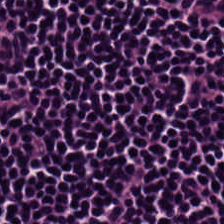Stain: H&E-stained tissue section.
Tissue class: lymphocyte aggregate.
